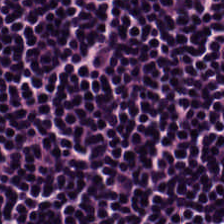H&E-stained tissue section. 20× equivalent magnification.
The predominant tissue is lymphocytes.
